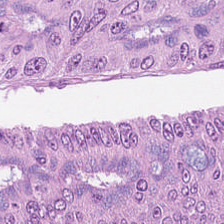H&E.
This field is adenocarcinoma.
